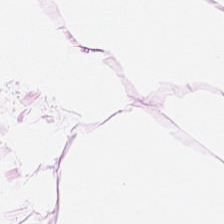The tissue class is fat tissue.
